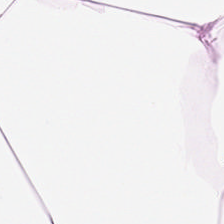Q: What tissue type is shown here?
A: Adipocytes.
